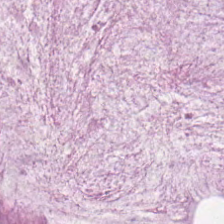224×224 px patch · H&E stain. Q: What type of tissue is this?
A: It is extracellular mucin.
